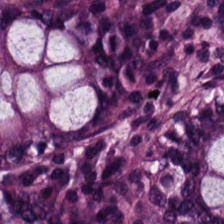0.5 microns per pixel. Hematoxylin-and-eosin stained section.
Predominantly normal colon mucosa.
